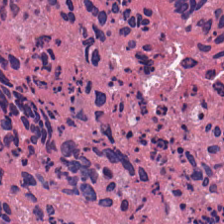H&E-stained tissue section · 224×224 px tile.
Q: Classify this patch.
A: Cellular debris.
